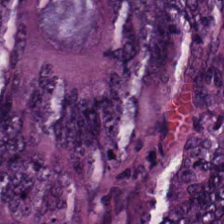Stain: hematoxylin-and-eosin stained section.
Tissue class: tumor epithelium.
